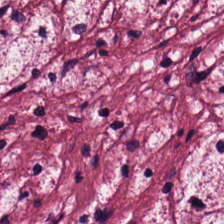Hematoxylin and eosin; 20× equivalent magnification; formalin-fixed paraffin-embedded section. The predominant tissue is tumor stroma.
